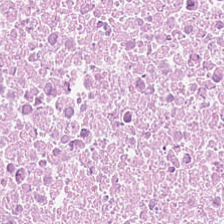H&E stain; 0.5 µm/px; 224×224 pixel tile. Tissue — debris.
